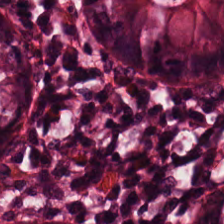This field is non-neoplastic colon mucosa.
